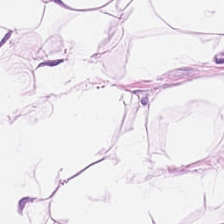The predominant tissue is adipocytes.
